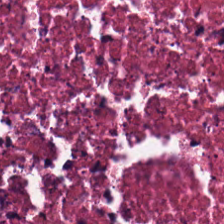Hematoxylin-and-eosin stained section · 0.5 µm/px — Impression → debris.
